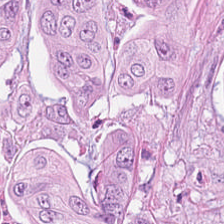Whole-slide-image patch · H&E stain · formalin-fixed paraffin-embedded section.
Histology — colorectal adenocarcinoma epithelium.
